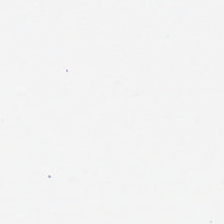Hematoxylin and eosin.
Empty background.
